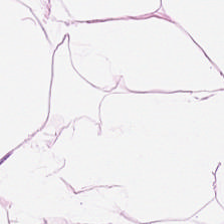Hematoxylin and eosin. FFPE. 224×224 px tile. Q: What is shown here?
A: Adipose tissue.
